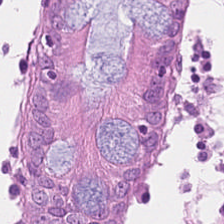Tissue: benign colonic mucosa.
